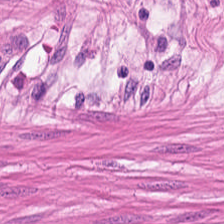Finding → smooth-muscle tissue.
